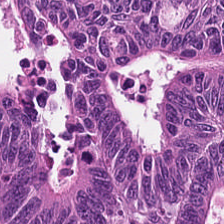Hematoxylin and eosin · WSI patch. The predominant tissue is colorectal adenocarcinoma epithelium.
